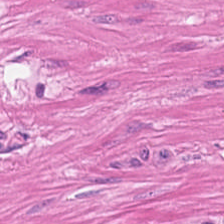Hematoxylin and eosin; 224×224 px tile — Smooth muscle.
